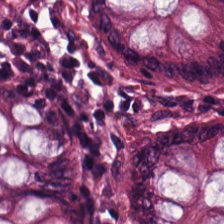This patch shows benign colonic mucosa.
